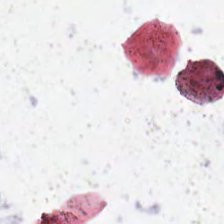H&E-stained tissue section — This field is background (no tissue).
